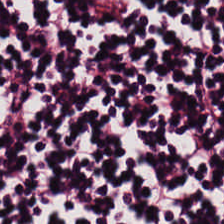FFPE tissue section; hematoxylin-and-eosin stained section; brightfield microscopy. The classification is lymphoid infiltrate.
